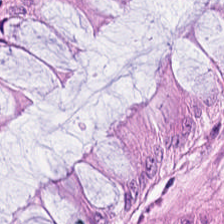Formalin-fixed paraffin-embedded section · hematoxylin-and-eosin stained section — This field is normal colon mucosa.
